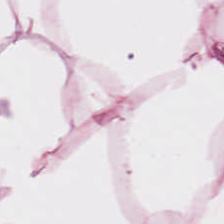20× equivalent magnification; hematoxylin and eosin.
Finding — adipose tissue.
